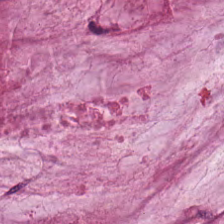Predominant tissue = extracellular mucin.
